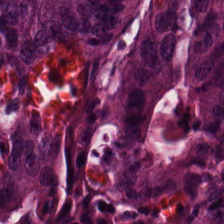H&E-stained tissue section.
Showing malignant epithelium.
